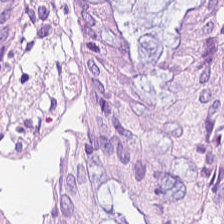H&E; 0.5 µm per pixel; FFPE. Q: What does this patch show?
A: This is benign colonic mucosa.
